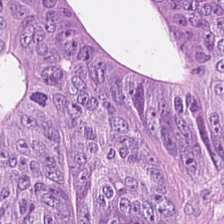H&E-stained tissue section. The tissue is colorectal adenocarcinoma.
